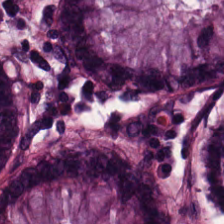Hematoxylin and eosin; FFPE tissue section — Non-neoplastic colon mucosa.
